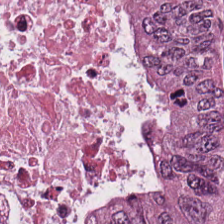Stain: H&E.
Tissue: adenocarcinoma.
